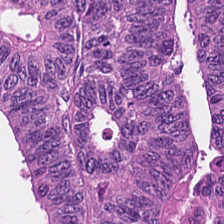H&E stain. This patch shows malignant epithelium.
